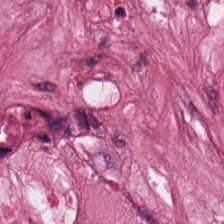H&E stain — Predominantly tumor-associated stroma.
